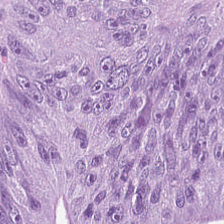Hematoxylin and eosin; formalin-fixed paraffin-embedded section. Impression → colorectal adenocarcinoma epithelium.
